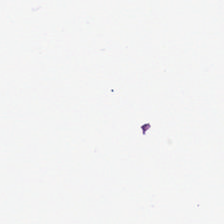Stain: H&E stain.
Resolution: 0.5 µm per pixel.
Tile size: 224×224 px patch.
Content: empty background.
